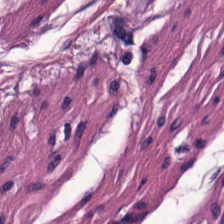Hematoxylin and eosin — This field is muscularis.
